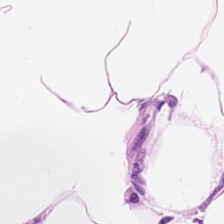224×224 pixel tile. Formalin-fixed paraffin-embedded section. H&E — Classification: fat tissue.
